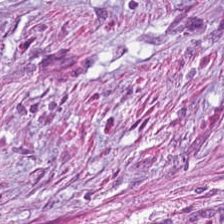Hematoxylin and eosin. 224×224 pixel tile.
Showing desmoplastic stroma.
